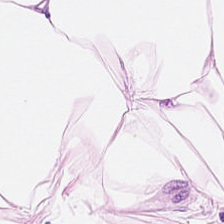H&E-stained tissue section.
Q: What tissue is shown?
A: The field shows fat tissue.
